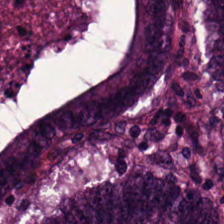Hematoxylin-and-eosin section: adenocarcinoma.
